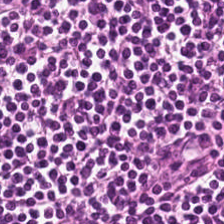Finding → lymphocyte aggregate.
